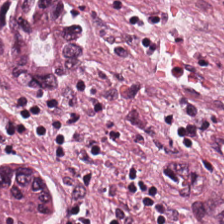Hematoxylin and eosin.
The tissue here is malignant epithelium.
